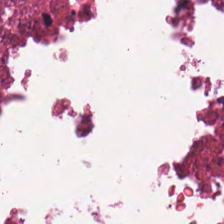Stain: H&E stain.
Resolution: 0.5 µm/px.
Tissue class: debris.
